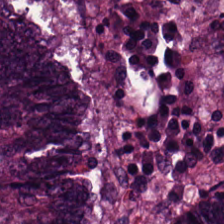H&E-stained tissue section. Malignant epithelium.
